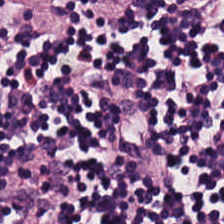H&E-stained tissue section — The tissue here is lymphocyte aggregate.
